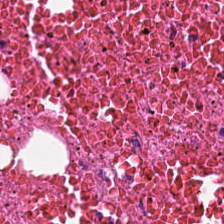H&E — {"tissue_type": "necrotic debris"}
